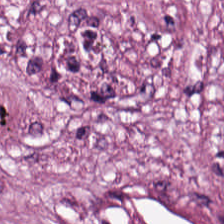Formalin-fixed paraffin-embedded section. Whole-slide-image patch. H&E.
Classification: tumor-associated stroma.
